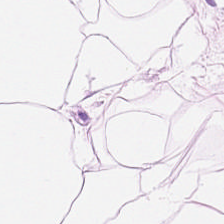{"tissue_type": "adipocytes"}
